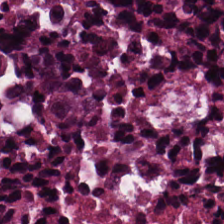H&E-stained tissue section.
Q: What is shown here?
A: It is necrotic debris.
